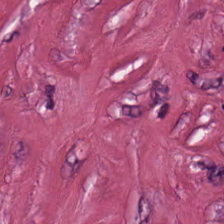Stain: H&E.
Acquisition: brightfield microscopy.
Predominant tissue: tumor stroma.
